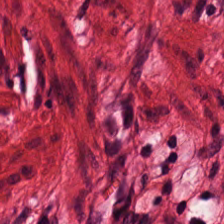WSI patch; H&E-stained tissue section — The tissue is smooth muscle.
